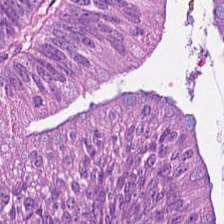Hematoxylin-and-eosin stained section — Finding — malignant epithelium.
